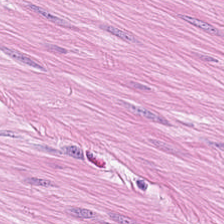Hematoxylin-and-eosin stained section; formalin-fixed paraffin-embedded section — Q: Classify this patch.
A: This is smooth-muscle tissue.
